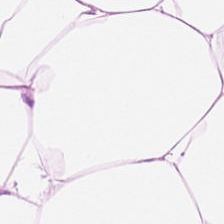224×224 px patch · hematoxylin and eosin · FFPE — This field is fat tissue.
